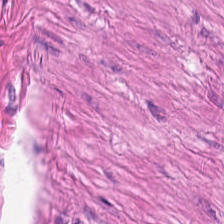Hematoxylin and eosin — This field is muscularis.
